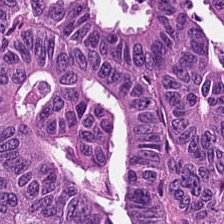0.5 microns per pixel · H&E-stained tissue section — Q: What tissue is shown?
A: Adenocarcinoma.
